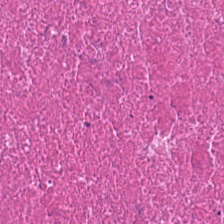224×224 pixel tile. Formalin-fixed paraffin-embedded section. H&E stain.
The classification is cellular debris.
